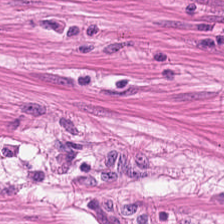{"tissue_type": "smooth muscle"}
